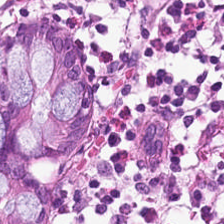Classification — non-neoplastic colon mucosa.
